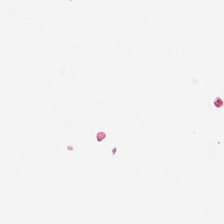FFPE · H&E-stained tissue section. Empty field — background.
